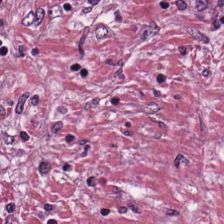H&E; 20× equivalent magnification; formalin-fixed paraffin-embedded section.
This field is tumor-associated stroma.
